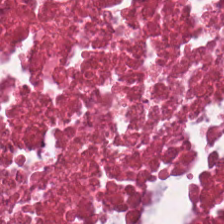Hematoxylin and eosin. This field is debris.
